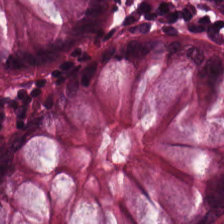Q: What is shown here?
A: This is normal colon mucosa.
